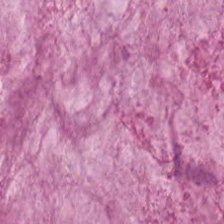0.5 µm/px · H&E-stained tissue section.
Extracellular mucin.
